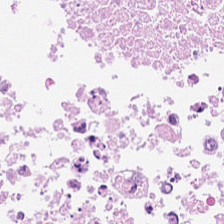Hematoxylin-and-eosin stained section. WSI patch — Classification: necrotic debris.
